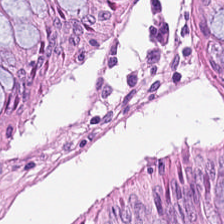H&E stain — This patch shows normal colon mucosa.
